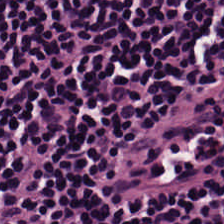Classification: lymphoid infiltrate.
